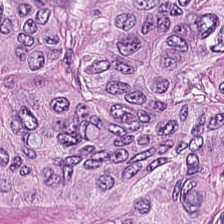H&E.
Q: Classify this patch.
A: It is colorectal adenocarcinoma.
